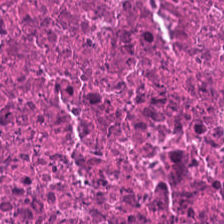Hematoxylin-and-eosin stained section. Histology → necrotic debris.
